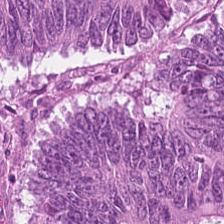Whole-slide-image patch. H&E. Finding → malignant epithelium.
